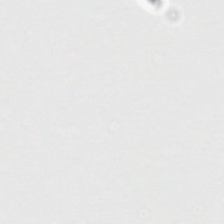Stain: hematoxylin-and-eosin stained section.
Content: empty background.
